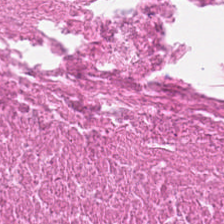H&E stain. Whole-slide-image patch. Necrotic debris.
